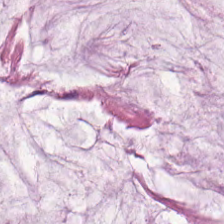Hematoxylin-and-eosin stained section — Extracellular mucin.
